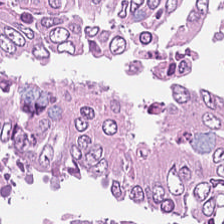H&E-stained tissue section showing colorectal adenocarcinoma.
